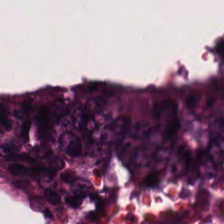20× equivalent magnification. Hematoxylin and eosin.
Predominant tissue: colorectal adenocarcinoma.
